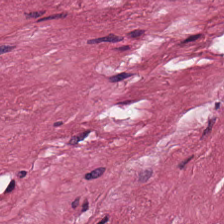H&E-stained tissue section. Showing desmoplastic stroma.
